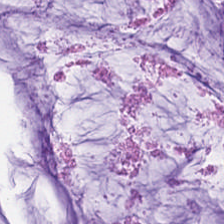H&E-stained tissue section · 224×224 pixel tile.
Extracellular mucin.
